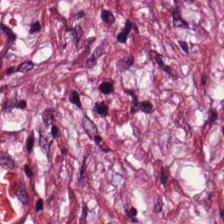Finding → tumor-associated stroma.
